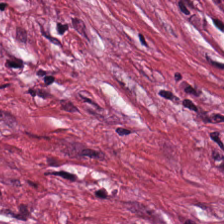FFPE; H&E; 224×224 pixel tile. Tissue: tumor-associated stroma.
